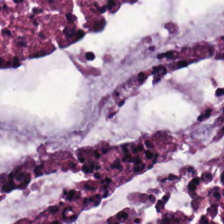Hematoxylin-and-eosin stained section. This field is extracellular mucin.
